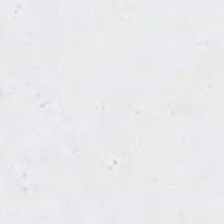Background — no tissue in this field.
